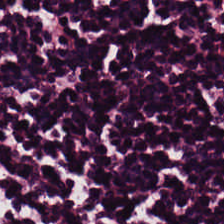Hematoxylin-and-eosin stained section — Classification — lymphocytes.
